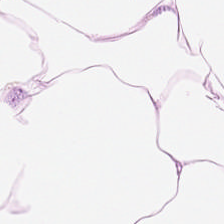H&E-stained tissue section. This patch shows adipocytes.
